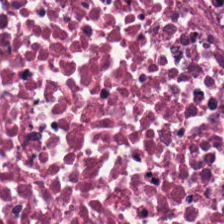H&E. This field is necrotic debris.
